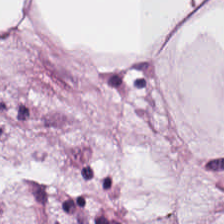H&E — adipose tissue.
